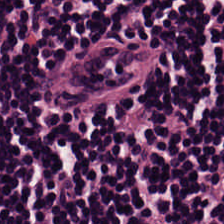FFPE. H&E-stained tissue section. 0.5 microns per pixel — Impression → lymphocytic infiltrate.
